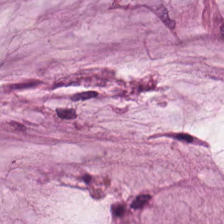Q: What tissue is shown?
A: Extracellular mucin.
